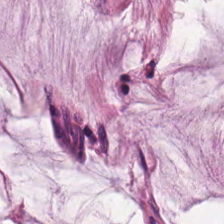224×224 pixel tile; H&E-stained tissue section. Showing mucus.
